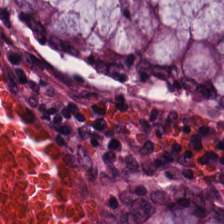224×224 pixel tile; H&E stain. Normal colon mucosa.
